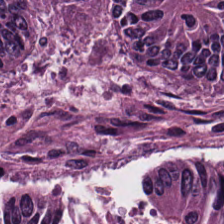Finding — tumor epithelium.
